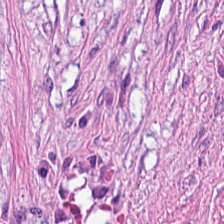Q: What type of tissue is this?
A: Desmoplastic stroma.
